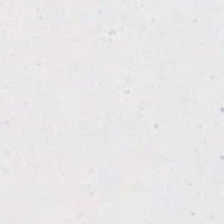0.5 microns per pixel; FFPE; H&E stain. Classification: background (no tissue).
